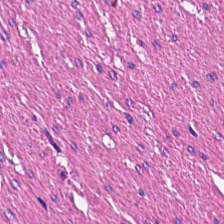Finding — muscularis.
